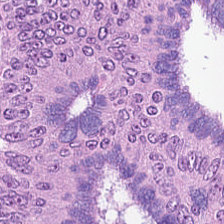Hematoxylin-and-eosin stained section.
Q: What does this patch show?
A: Colorectal adenocarcinoma.
